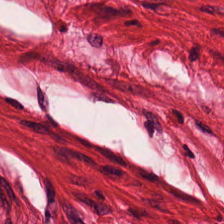20× equivalent magnification · whole-slide-image patch · H&E stain — Predominant tissue: smooth muscle.
